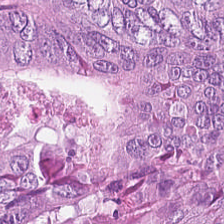H&E stain — Q: What is the predominant tissue type?
A: This is malignant epithelium.
